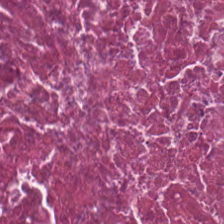WSI patch; 0.5 µm per pixel; H&E stain — Q: What does this patch show?
A: This is cellular debris.
